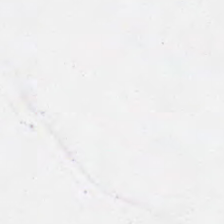{"content": "background (no tissue)"}
